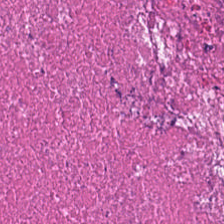FFPE · H&E-stained tissue section. Showing debris.
